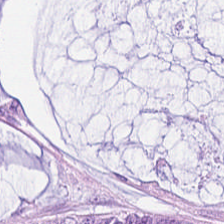Tissue class: extracellular mucin.
